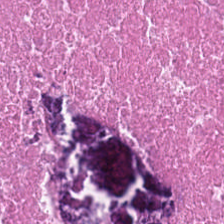224×224 px patch · H&E stain · FFPE tissue section. {"tissue_type": "necrotic debris"}
